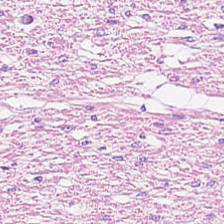Stain: hematoxylin and eosin.
Tissue: muscularis.
